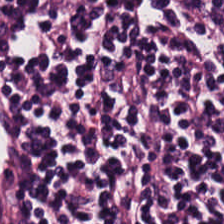224×224 px patch; H&E stain. Predominant tissue — lymphocytes.
